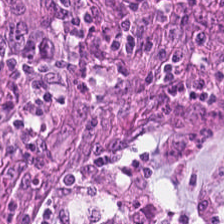H&E. This field is tumor epithelium.
